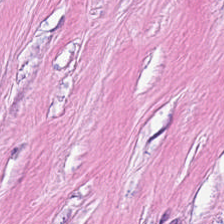Hematoxylin and eosin.
The tissue here is desmoplastic stroma.
